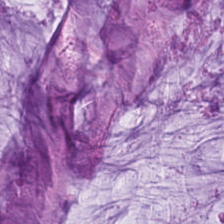0.5 µm per pixel; hematoxylin and eosin.
Q: What is the predominant tissue type?
A: Mucus.
